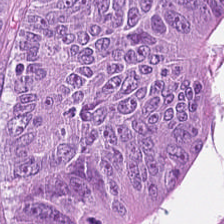Classification: malignant epithelium.
